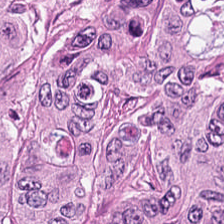Hematoxylin-and-eosin stained section; 0.5 µm per pixel. Showing malignant epithelium.
